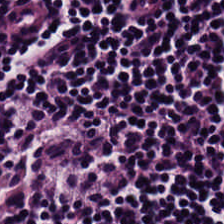Formalin-fixed paraffin-embedded section; 224×224 pixel tile; hematoxylin-and-eosin stained section. Q: What is shown in this field?
A: This is lymphocyte aggregate.
